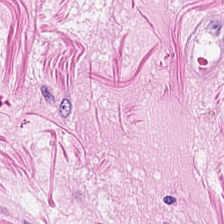Impression → smooth-muscle tissue.
